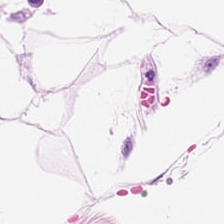Predominantly adipose tissue.
